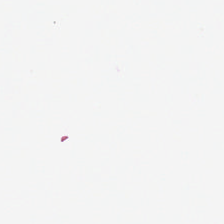Empty background.
